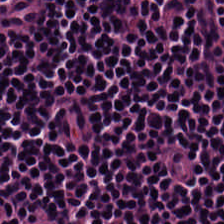Tissue class = lymphocytic infiltrate.
